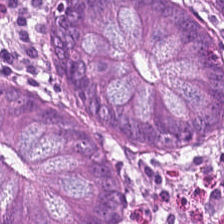H&E. Q: What type of tissue is this?
A: This is benign colonic mucosa.
